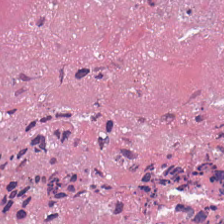H&E-stained tissue section · brightfield microscopy. Tissue type — necrotic debris.
